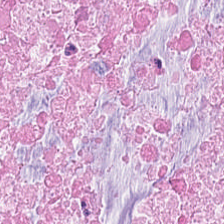0.5 microns per pixel. H&E-stained tissue section. WSI patch — Predominantly necrotic debris.
